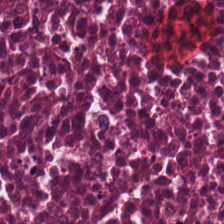This patch shows cellular debris.
